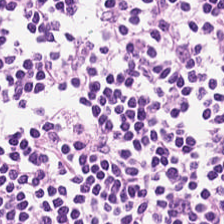Stain: hematoxylin and eosin.
Predominant tissue: lymphocyte aggregate.
